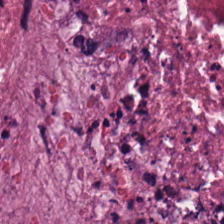Hematoxylin-and-eosin stained section.
Finding → debris.
